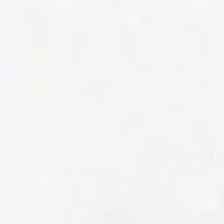Hematoxylin and eosin. WSI patch. Q: What is shown here?
A: It is empty background.
